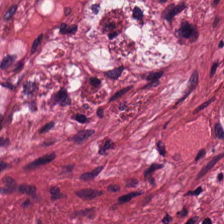Stain: hematoxylin-and-eosin stained section.
Preparation: FFPE tissue section.
Tile size: 224×224 px tile.
Tissue class: cancer-associated stroma.
